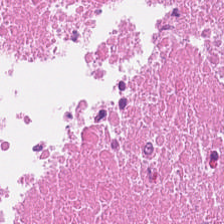Debris.
